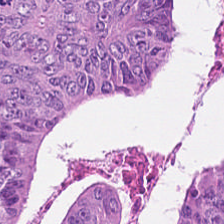Hematoxylin and eosin. {"tissue_type": "colorectal adenocarcinoma"}
